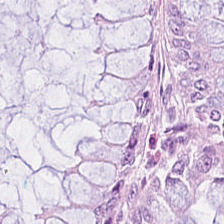H&E stain.
Q: What does this patch show?
A: It is benign colonic mucosa.
